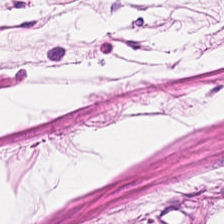H&E. Tissue = smooth muscle.
